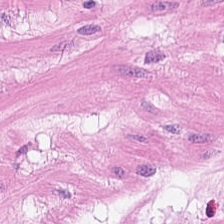H&E — The predominant tissue is smooth muscle.
